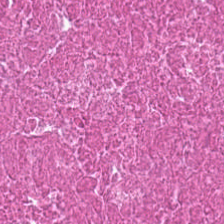Stain: hematoxylin and eosin.
Predominant tissue: cellular debris.
